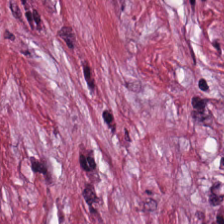FFPE tissue section. Hematoxylin-and-eosin stained section — The tissue here is desmoplastic stroma.
